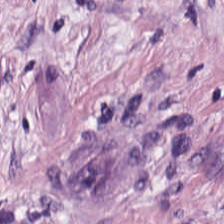Stain: H&E.
Resolution: 20× equivalent magnification.
Classification: tumor-associated stroma.
